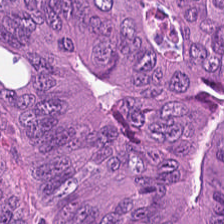0.5 µm per pixel; H&E. Predominantly colorectal adenocarcinoma epithelium.
